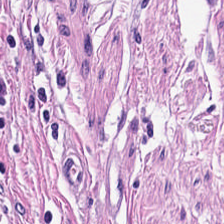H&E stain.
Q: Classify this patch.
A: Muscularis.
